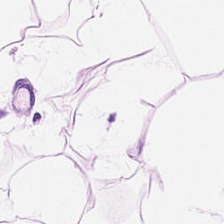FFPE tissue section. 20× equivalent magnification. Hematoxylin and eosin — Showing adipose tissue.
